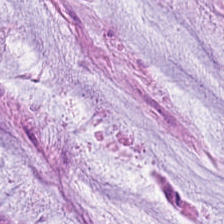Tissue class — mucin.
